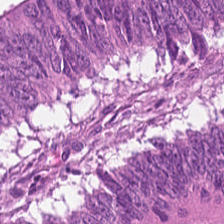H&E. Finding → adenocarcinoma.
